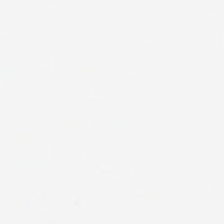Stain: hematoxylin-and-eosin stained section.
Tile size: 224×224 px tile.
Acquisition: brightfield.
Content: empty background.
